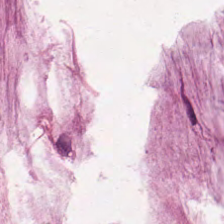H&E · 224×224 px tile — The tissue here is mucin.
